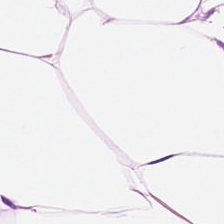Tissue class — fat tissue.
